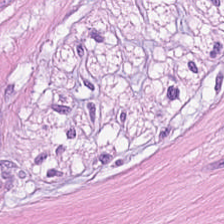H&E-stained tissue section.
The tissue here is muscularis.
